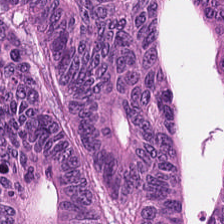0.5 µm per pixel. WSI patch. H&E.
The classification is colorectal adenocarcinoma epithelium.
